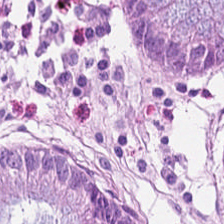H&E-stained tissue section — Non-neoplastic colon mucosa.
